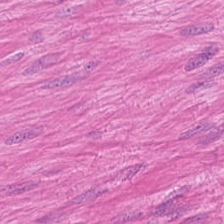Q: What does this patch show?
A: Muscularis.
